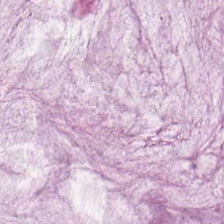H&E patch showing extracellular mucin.
